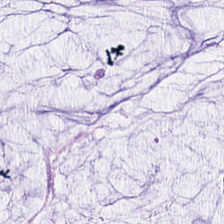Predominantly mucus.
